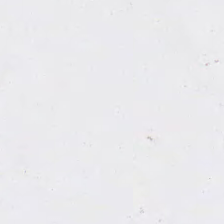0.5 µm per pixel · 224×224 px tile · hematoxylin-and-eosin stained section.
Q: What is shown in this field?
A: The field shows no tissue.
